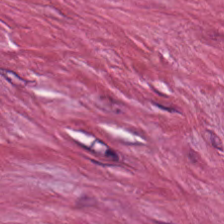Finding — tumor-associated stroma.
